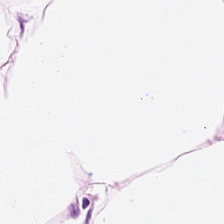20× equivalent magnification; formalin-fixed paraffin-embedded section; H&E-stained tissue section.
Q: What does this patch show?
A: It is adipocytes.
